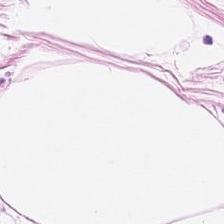H&E stain · 224×224 px patch.
Predominantly adipocytes.
